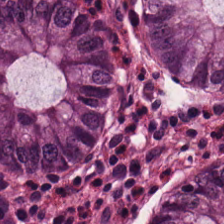224×224 px patch · H&E — Predominantly non-neoplastic colon mucosa.
